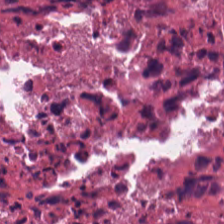H&E stain — {"tissue_type": "cellular debris"}
